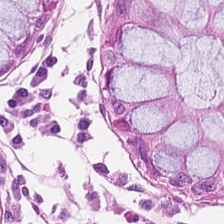0.5 microns per pixel. H&E stain — Q: What is the predominant tissue type?
A: It is non-neoplastic colon mucosa.
